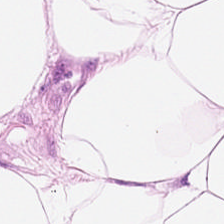H&E-stained tissue section; whole-slide-image patch. The tissue here is adipose.
